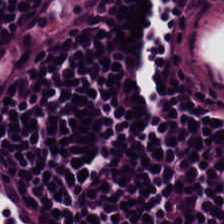0.5 µm/px. Hematoxylin-and-eosin stained section. 224×224 pixel tile — The tissue here is lymphocyte aggregate.
